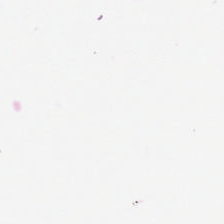Brightfield; H&E; 0.5 microns per pixel — Q: What does this patch show?
A: The field shows empty background.
